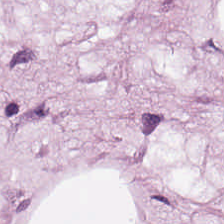224×224 px tile; H&E-stained tissue section.
The predominant tissue is fat tissue.
